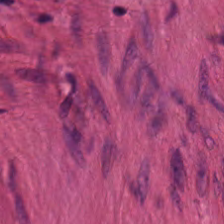H&E. Classification — smooth muscle.
